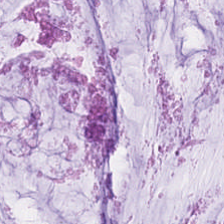H&E. Q: What does this patch show?
A: The field shows mucin.
